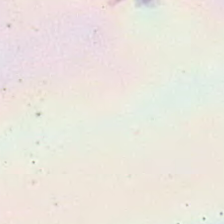Finding → background.
